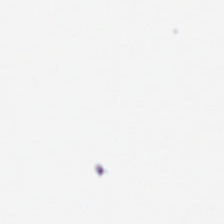Field content — background (no tissue).
